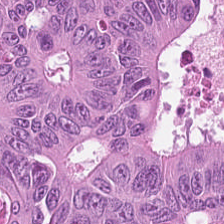Hematoxylin and eosin · 0.5 µm per pixel.
Tissue class — colorectal adenocarcinoma.
